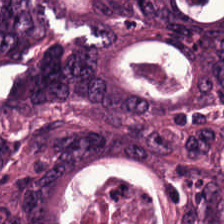H&E · 0.5 µm/px.
Impression — adenocarcinoma.
